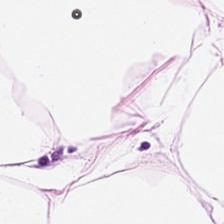H&E — fat tissue.
